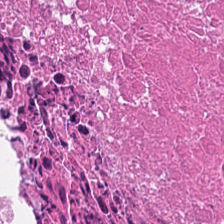Hematoxylin-and-eosin stained section; FFPE tissue section; 20× equivalent magnification — Classification = necrotic debris.
